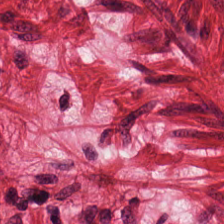Hematoxylin and eosin. Tissue: smooth muscle.
